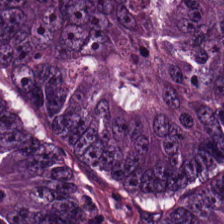H&E stain. This patch shows colorectal adenocarcinoma epithelium.
